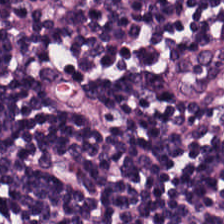Whole-slide-image patch. H&E. Classification: lymphocyte aggregate.
